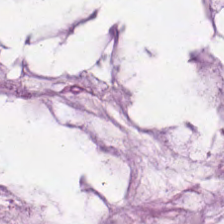H&E stain. Histology → mucin.
